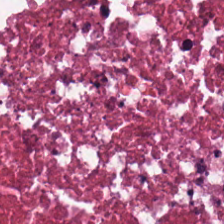Hematoxylin and eosin; 224×224 px patch; 0.5 microns per pixel.
Q: What tissue type is shown here?
A: This is cellular debris.
